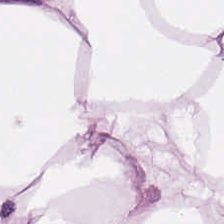Q: What is shown in this field?
A: It is adipose tissue.
